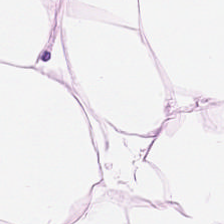Hematoxylin-and-eosin stained section. 20× equivalent magnification — Q: What tissue type is shown here?
A: The field shows adipocytes.
